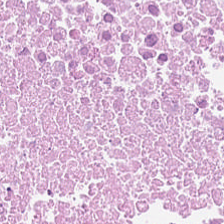Stain: hematoxylin and eosin.
Predominant tissue: debris.
